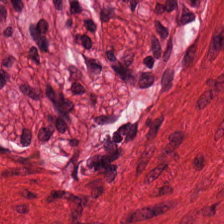FFPE tissue section. Hematoxylin-and-eosin stained section. Tissue class = smooth-muscle tissue.
